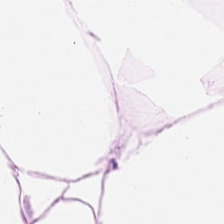H&E — Classification: fat tissue.
